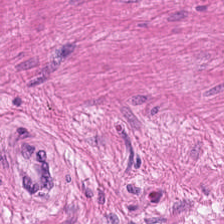0.5 microns per pixel; hematoxylin and eosin; brightfield — Histology → smooth muscle.
